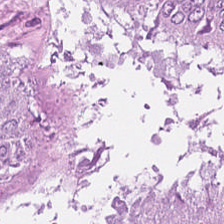H&E — Q: What type of tissue is this?
A: It is malignant epithelium.
